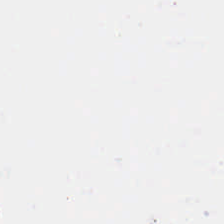Hematoxylin and eosin.
Background — no tissue in this field.
